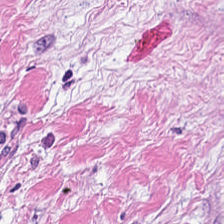Stain: H&E stain.
Preparation: formalin-fixed paraffin-embedded section.
Tile size: 224×224 pixel tile.
Tissue class: desmoplastic stroma.
